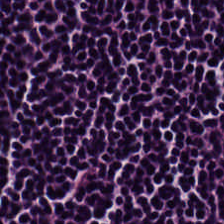224×224 px tile. H&E-stained tissue section. {"tissue_type": "lymphocyte aggregate"}
